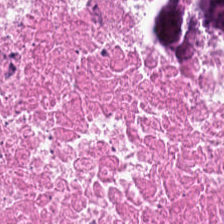Necrotic debris.
